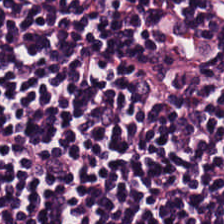The predominant tissue is lymphocytes.
